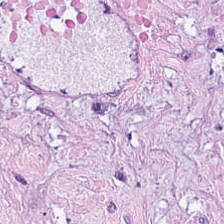Hematoxylin-and-eosin stained section.
{"tissue_type": "tumor stroma"}
